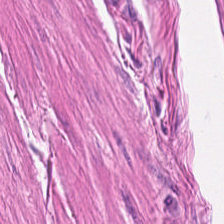H&E — {"tissue_type": "smooth-muscle tissue"}
